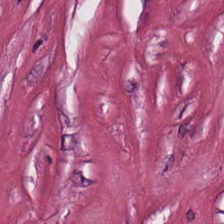Showing cancer-associated stroma.
